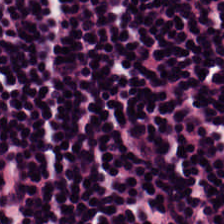Hematoxylin and eosin — {"tissue_type": "lymphocytic infiltrate"}
